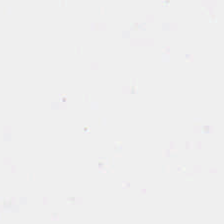H&E-stained tissue section — The classification is background (no tissue).
